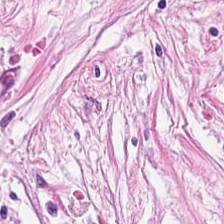Q: What tissue is shown?
A: Desmoplastic stroma.
